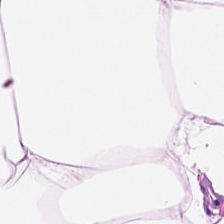224×224 px patch. H&E-stained tissue section. Predominantly fat tissue.
